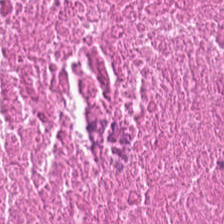H&E-stained tissue section.
Tissue = necrotic debris.
